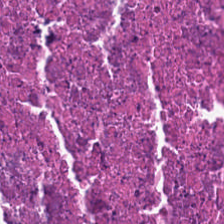H&E stain. FFPE tissue section.
Finding — debris.
